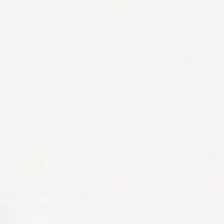H&E-stained tissue section.
Q: What is shown in this field?
A: This is background.
